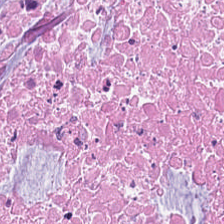H&E — This field is necrotic debris.
